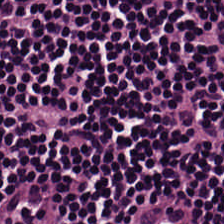Hematoxylin-and-eosin stained section. 224×224 pixel tile.
Q: What does this patch show?
A: This is lymphocytic infiltrate.
